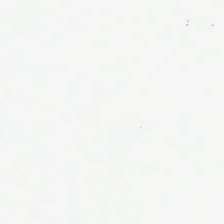0.5 microns per pixel · hematoxylin and eosin.
No tissue present; background only.
